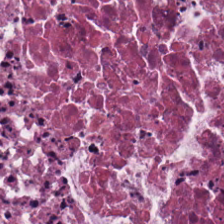224×224 px tile. H&E-stained tissue section — This patch shows debris.
